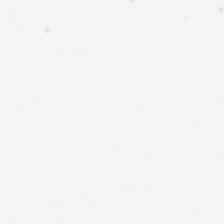Stain: hematoxylin and eosin.
Content: empty background.
